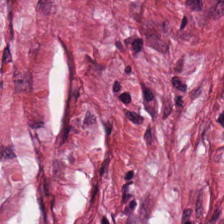Hematoxylin-and-eosin stained section. 20× equivalent magnification.
This patch shows desmoplastic stroma.
